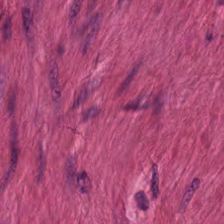Stain: H&E-stained tissue section.
Acquisition: brightfield.
Tile size: 224×224 px patch.
Predominant tissue: smooth muscle.
